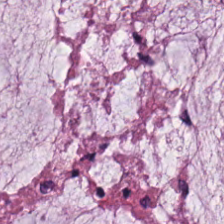Hematoxylin-and-eosin stained section — {"tissue_type": "mucin"}
